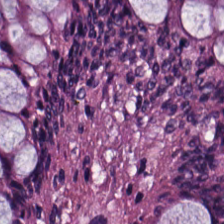H&E-stained tissue section showing non-neoplastic colon mucosa.
